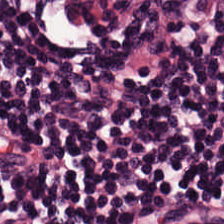{"tissue_type": "lymphoid infiltrate"}
